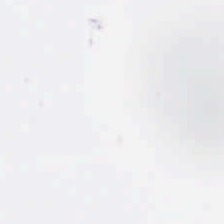Whole-slide-image patch; H&E-stained tissue section — No tissue present; background only.
